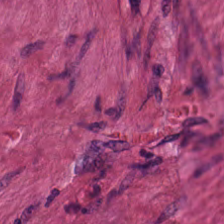H&E stain. Finding → smooth muscle.
